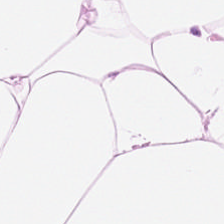Showing adipose.
